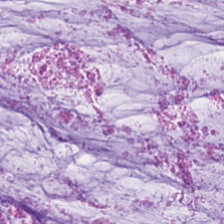Q: What tissue is shown?
A: It is mucin.
